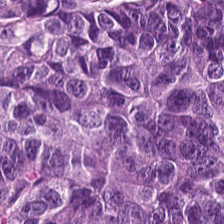Hematoxylin and eosin. Showing adenocarcinoma.
